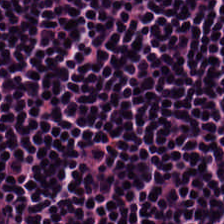Histology — lymphoid infiltrate.
